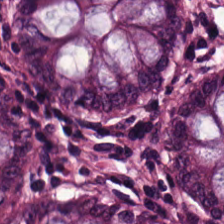Whole-slide-image patch. Hematoxylin and eosin. This patch shows normal colon mucosa.
